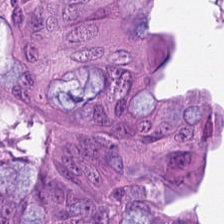H&E. {"tissue_type": "tumor epithelium"}
